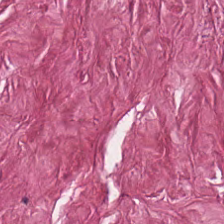Hematoxylin-and-eosin stained section.
The classification is tumor-associated stroma.
